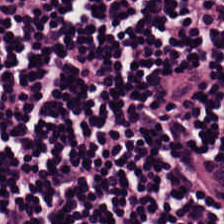Q: What is the predominant tissue type?
A: It is lymphocytes.
